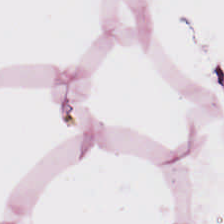Histology — adipocytes.
